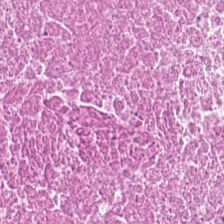Stain: H&E.
Tissue type: cellular debris.
